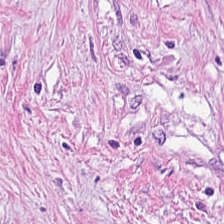Hematoxylin-and-eosin stained section. Brightfield — Predominant tissue — desmoplastic stroma.
